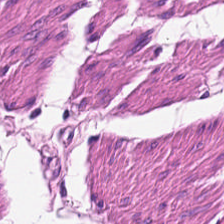H&E-stained tissue section — Showing muscularis.
